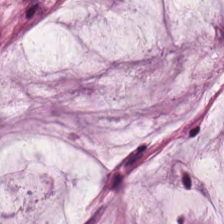Hematoxylin and eosin. Showing mucin.
